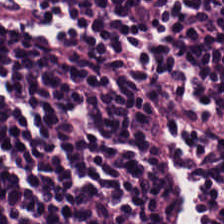Hematoxylin-and-eosin stained section.
Q: What type of tissue is this?
A: This is lymphocytes.
